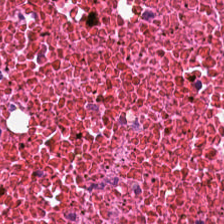Histology → debris.
